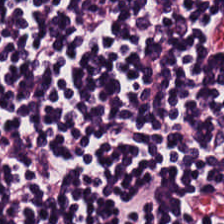Stain: hematoxylin and eosin.
Classification: lymphocytic infiltrate.
